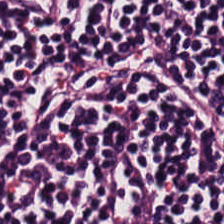0.5 µm/px · H&E stain — Tissue type: lymphocytic infiltrate.
